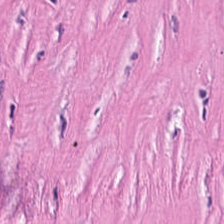224×224 px patch. H&E-stained tissue section — Desmoplastic stroma.
